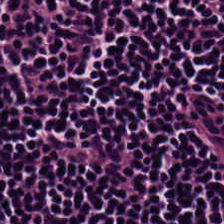H&E stain; brightfield. Q: What type of tissue is this?
A: Lymphoid infiltrate.
